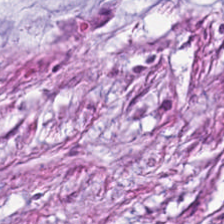Stain: H&E stain.
Tissue: cancer-associated stroma.
